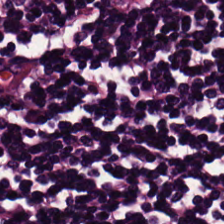H&E stain; 224×224 px patch. Tissue — lymphocytic infiltrate.
